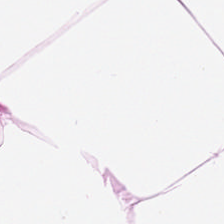224×224 px tile; hematoxylin and eosin. Predominant tissue: adipose tissue.
